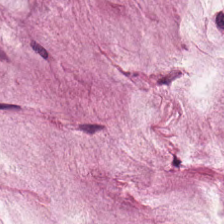The tissue is mucin.
